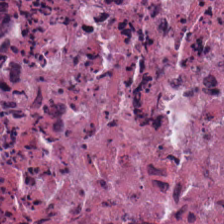Stain: hematoxylin and eosin.
Preparation: FFPE tissue section.
Tissue class: cellular debris.
